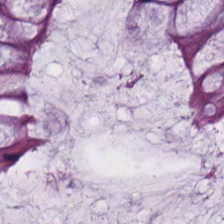224×224 pixel tile. H&E stain. The tissue is normal colonic mucosa.
